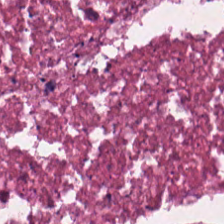20× equivalent magnification · H&E stain · FFPE.
Q: What type of tissue is this?
A: This is debris.
